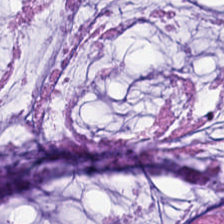Finding → extracellular mucin.
